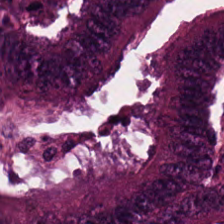H&E.
The predominant tissue is malignant epithelium.
